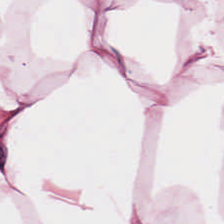H&E stain.
Q: What is shown here?
A: Fat tissue.
